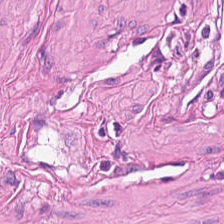WSI patch. H&E. Q: What is shown here?
A: The field shows smooth muscle.
